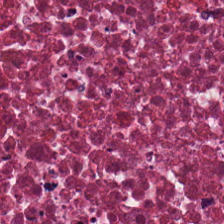0.5 microns per pixel; hematoxylin and eosin; FFPE tissue section.
This field is necrotic debris.
